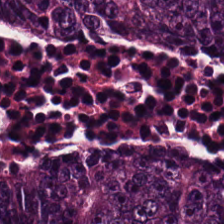20× equivalent magnification · H&E · brightfield microscopy. Adenocarcinoma.
